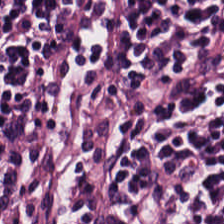This patch shows lymphocyte aggregate.
